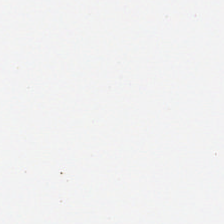Hematoxylin-and-eosin stained section.
Background.
